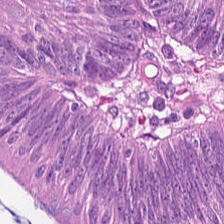Hematoxylin-and-eosin stained section.
Tissue: colorectal adenocarcinoma epithelium.
